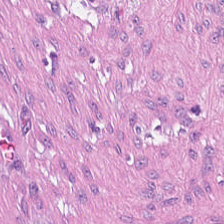WSI patch. H&E.
Classification = desmoplastic stroma.
